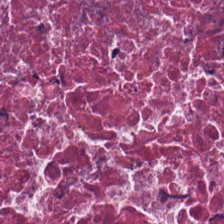H&E stain. Predominantly debris.
